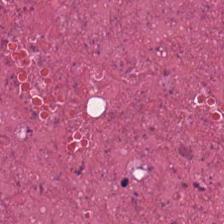Hematoxylin-and-eosin section: debris.
